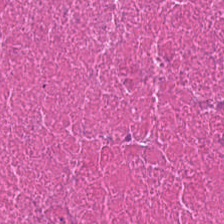H&E stain.
Q: What tissue is shown?
A: The field shows necrotic debris.
